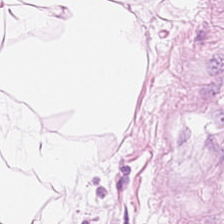Stain: H&E.
Tissue type: adipocytes.
